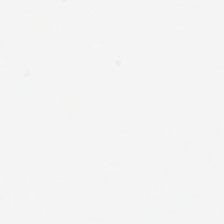Hematoxylin-and-eosin stained section. FFPE — This patch shows background.
